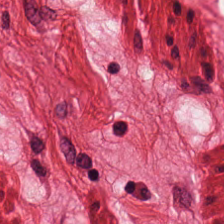Classification: smooth-muscle tissue.
